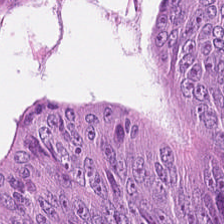H&E-stained tissue section. Brightfield microscopy. 224×224 px tile. This field is malignant epithelium.
